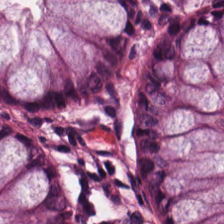Stain: H&E-stained tissue section.
Preparation: FFPE tissue section.
Tissue type: non-neoplastic colon mucosa.
